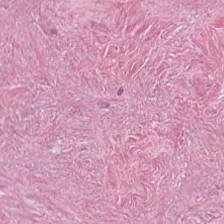Stain: H&E.
Tissue type: cancer-associated stroma.
